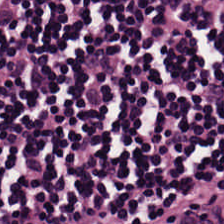224×224 pixel tile · H&E · whole-slide-image patch. Q: What does this patch show?
A: This is lymphocyte aggregate.
